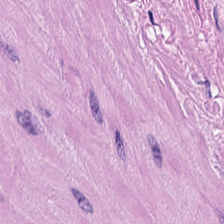WSI patch. Formalin-fixed paraffin-embedded section. H&E stain. The tissue class is smooth-muscle tissue.
